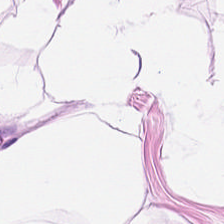WSI patch. Hematoxylin and eosin — Tissue class — adipose tissue.
